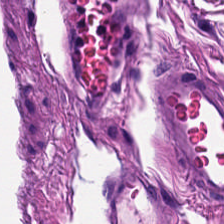Hematoxylin-and-eosin stained section. 0.5 µm per pixel — Tissue type: smooth-muscle tissue.
